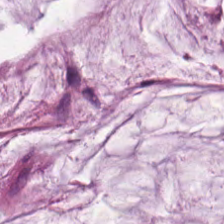Stain: hematoxylin-and-eosin stained section.
Resolution: 0.5 µm/px.
Tissue class: mucus.
